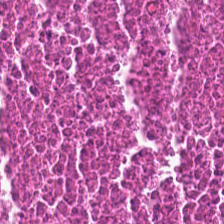H&E stain. Q: Classify this patch.
A: The field shows necrotic debris.
